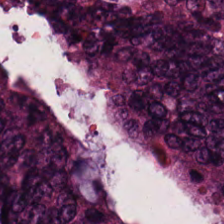Hematoxylin and eosin. Classification: adenocarcinoma.
